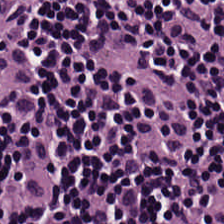Stain: H&E stain.
Tissue type: lymphocytic infiltrate.
